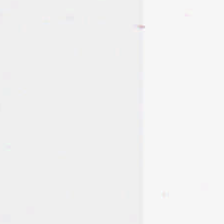Hematoxylin-and-eosin stained section; 0.5 microns per pixel. This patch shows background (no tissue).
